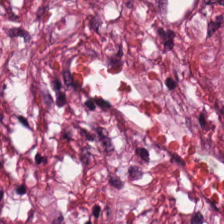Hematoxylin-and-eosin section: desmoplastic stroma.
